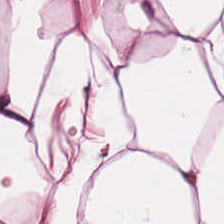H&E-stained tissue section — Q: Classify this patch.
A: The field shows fat tissue.
